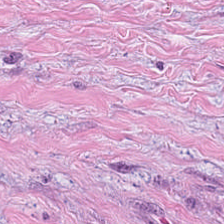H&E-stained tissue section.
Histology → desmoplastic stroma.
